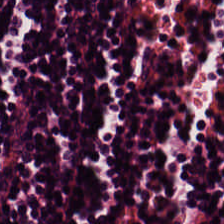Hematoxylin and eosin. {"tissue_type": "lymphocytic infiltrate"}
